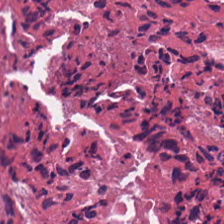Hematoxylin-and-eosin stained section. Predominantly necrotic debris.
